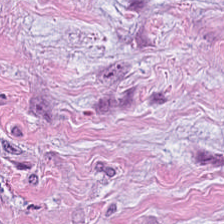Hematoxylin-and-eosin stained section; 224×224 pixel tile.
Predominantly tumor stroma.
